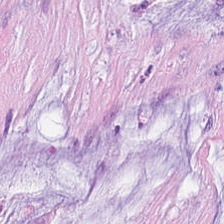Stain: H&E-stained tissue section.
Predominant tissue: mucin.
